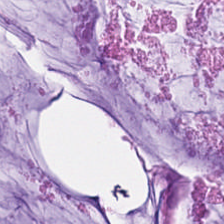Hematoxylin and eosin.
The tissue is mucin.
